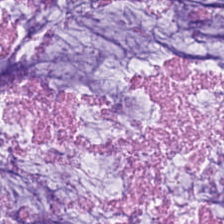Hematoxylin-and-eosin stained section — Predominantly extracellular mucin.
